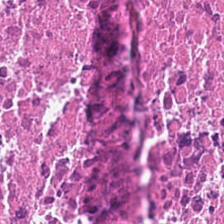20× equivalent magnification. 224×224 px patch. Hematoxylin and eosin.
The tissue class is cellular debris.
